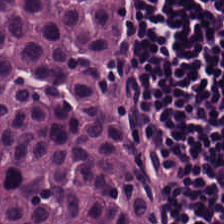H&E — This field is lymphocytes.
